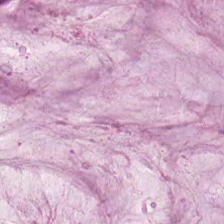Whole-slide-image patch; 224×224 px patch; H&E stain — Predominantly mucus.
